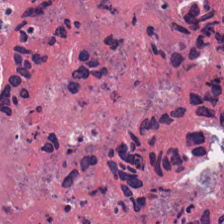Q: What tissue is shown?
A: The field shows debris.
